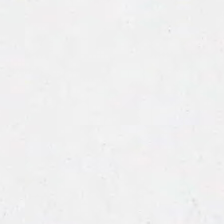Stain: H&E stain.
Acquisition: whole-slide-image patch.
Classification: background (no tissue).
